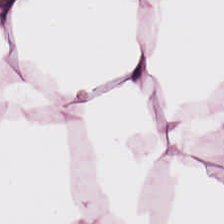H&E. This field is fat tissue.
